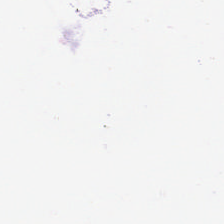Hematoxylin-and-eosin stained section. This field is background (no tissue).
